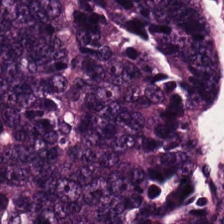H&E stain. Q: What is shown here?
A: Colorectal adenocarcinoma.
